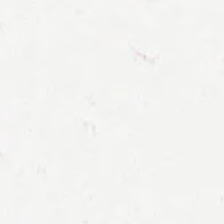Content = empty background.
